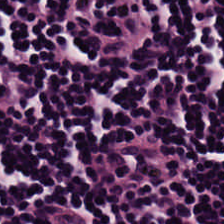H&E. Predominant tissue — lymphocyte aggregate.
